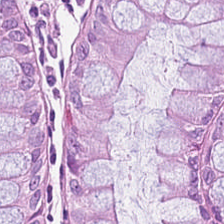This patch shows non-neoplastic colon mucosa.
